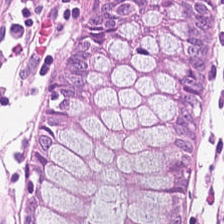H&E-stained tissue section — Predominantly benign colonic mucosa.
